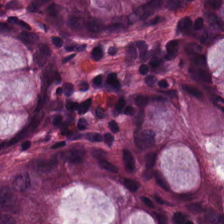This patch shows benign colonic mucosa.
